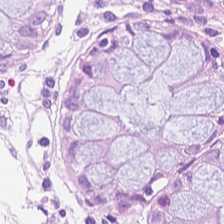H&E-stained tissue section.
Tissue type — normal colonic mucosa.
